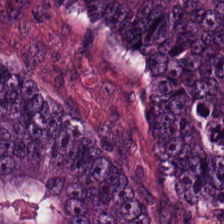H&E-stained tissue section. Tissue type — malignant epithelium.
